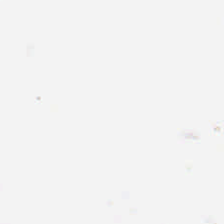224×224 px patch · H&E stain — Histology → no tissue.
